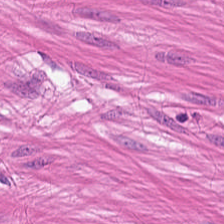H&E.
The tissue class is smooth muscle.
